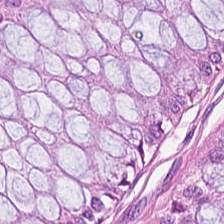H&E; brightfield microscopy — Predominantly benign colonic mucosa.
